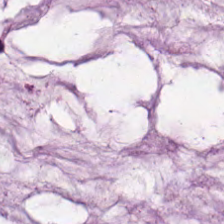Hematoxylin and eosin. 224×224 pixel tile — This field is mucus.
